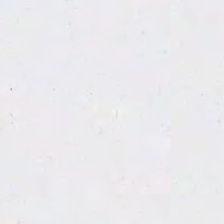H&E; formalin-fixed paraffin-embedded section — The field content is no tissue.
